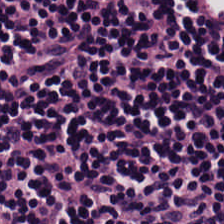H&E-stained tissue section · 224×224 pixel tile — Predominantly lymphocyte aggregate.
